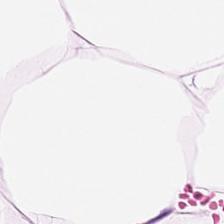FFPE tissue section · hematoxylin-and-eosin stained section. {"tissue_type": "adipose"}
